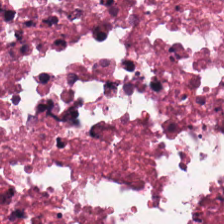H&E — debris.
